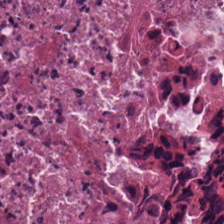Stain: H&E.
Tissue class: debris.
